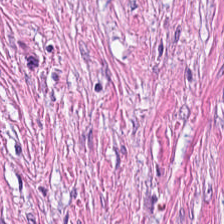Hematoxylin-and-eosin stained section. 0.5 µm per pixel — Tissue class: tumor-associated stroma.
